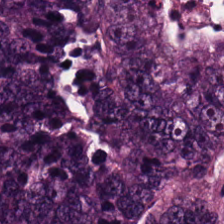Whole-slide-image patch; FFPE; hematoxylin-and-eosin stained section.
Classification = tumor epithelium.
